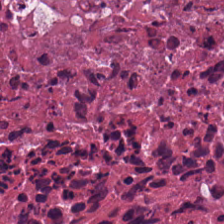H&E-stained tissue section.
Finding → necrotic debris.
